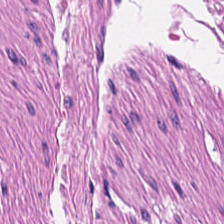H&E — {"tissue_type": "muscularis"}
